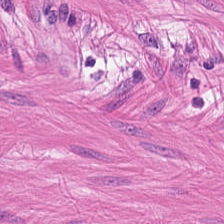H&E · FFPE — Classification = smooth muscle.
